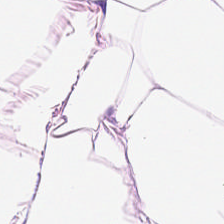224×224 px tile. Brightfield microscopy. H&E-stained tissue section — Predominant tissue: adipose tissue.
